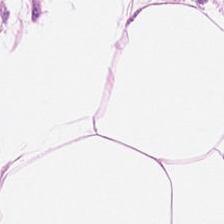Stain: hematoxylin-and-eosin stained section.
Predominant tissue: fat tissue.
